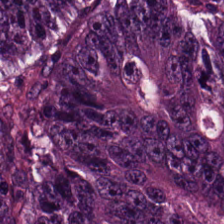224×224 px patch; hematoxylin and eosin.
Adenocarcinoma.
